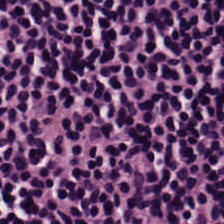H&E stain. Lymphocytes.
